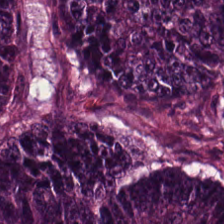224×224 px tile; hematoxylin and eosin. Q: What is shown here?
A: Colorectal adenocarcinoma epithelium.
